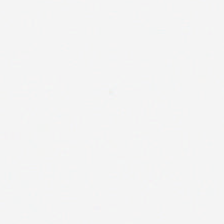Hematoxylin-and-eosin stained section.
Content: background (no tissue).
